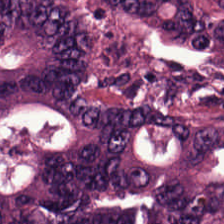H&E.
Impression → malignant epithelium.
